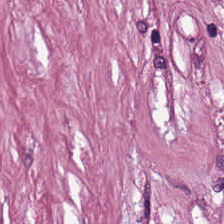224×224 px tile. H&E stain. 0.5 µm per pixel. Tissue class = tumor-associated stroma.
